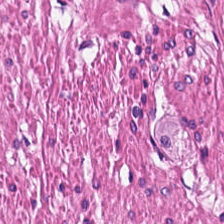Hematoxylin-and-eosin stained section — The predominant tissue is smooth muscle.
